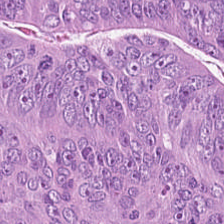Stain: H&E.
Tissue: tumor epithelium.
